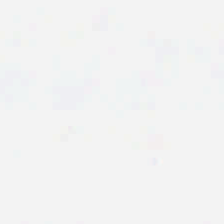H&E-stained tissue section.
This patch shows empty background.
